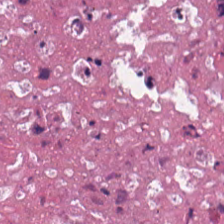Hematoxylin-and-eosin stained section. FFPE. 224×224 px patch.
The tissue here is cellular debris.
